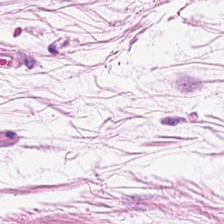Hematoxylin-and-eosin section: fat tissue.
